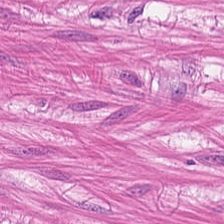Hematoxylin and eosin; FFPE. Histology — smooth-muscle tissue.
